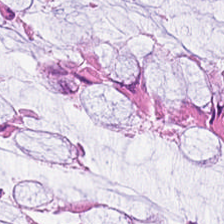Benign colonic mucosa.
